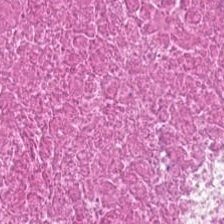Hematoxylin and eosin.
The tissue here is cellular debris.
